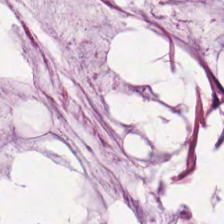0.5 microns per pixel; H&E stain. Showing mucin.
